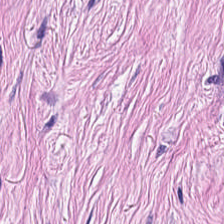Histology → cancer-associated stroma.
